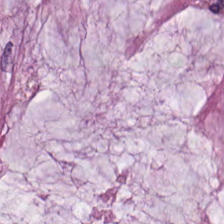Formalin-fixed paraffin-embedded section. Hematoxylin and eosin. 224×224 pixel tile.
This patch shows mucin.
